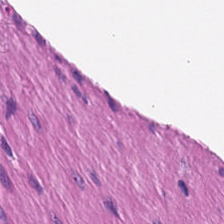The tissue here is smooth muscle.
